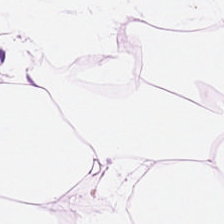H&E stain. Impression → adipose.
